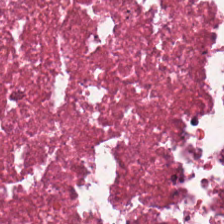H&E stain.
This field is debris.
